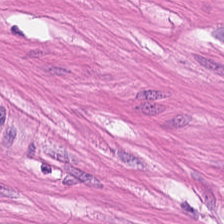Brightfield microscopy · 20× equivalent magnification · H&E — This field is smooth muscle.
